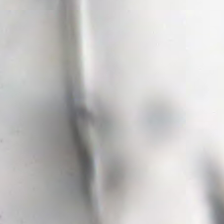Hematoxylin-and-eosin stained section; WSI patch.
{"content": "background (no tissue)"}
